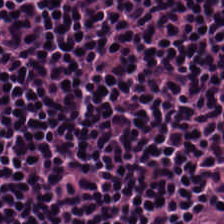H&E-stained tissue section. Showing lymphoid infiltrate.
